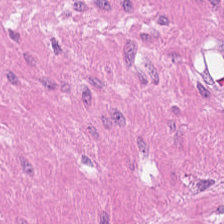FFPE tissue section; WSI patch; H&E-stained tissue section. Histology — smooth muscle.
